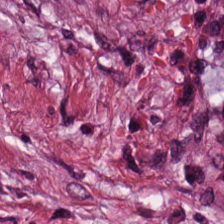H&E patch showing tumor-associated stroma.
